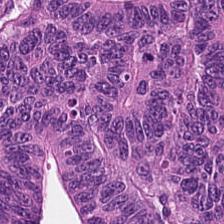Stain: H&E stain.
Preparation: FFPE.
Tissue: colorectal adenocarcinoma epithelium.
